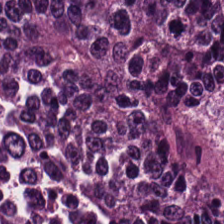H&E. 0.5 µm per pixel. Formalin-fixed paraffin-embedded section. Q: Classify this patch.
A: It is adenocarcinoma.
